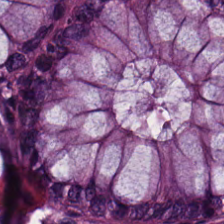Hematoxylin-and-eosin stained section.
Showing normal colonic mucosa.
